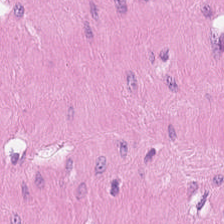This patch shows smooth muscle.
